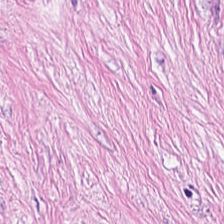H&E-stained tissue section. Showing cancer-associated stroma.
